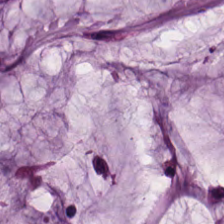H&E-stained tissue section. Predominantly mucin.
